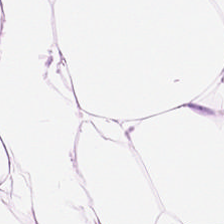Formalin-fixed paraffin-embedded section. H&E-stained tissue section. Predominant tissue — fat tissue.
